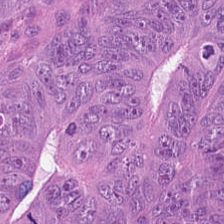Predominant tissue = adenocarcinoma.
